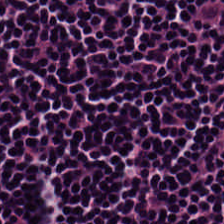Brightfield. H&E stain.
This patch shows lymphocytic infiltrate.
